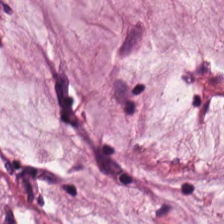Hematoxylin and eosin. Impression — mucin.
